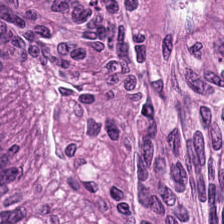Formalin-fixed paraffin-embedded section. 0.5 microns per pixel. H&E-stained tissue section — Q: What does this patch show?
A: The field shows colorectal adenocarcinoma epithelium.
